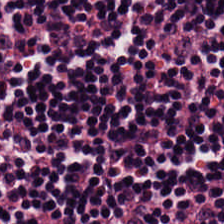Hematoxylin and eosin. Brightfield. Q: Classify this patch.
A: This is lymphocytes.
